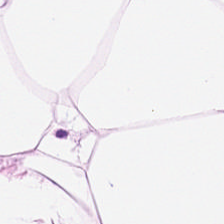224×224 px patch. Hematoxylin-and-eosin stained section — Predominant tissue — fat tissue.
